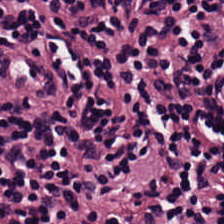Hematoxylin and eosin — Classification = lymphocytic infiltrate.
